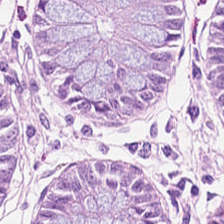Hematoxylin-and-eosin stained section.
Tissue type — normal colonic mucosa.
